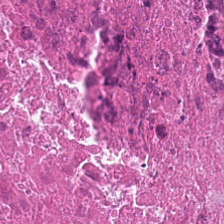H&E stain; formalin-fixed paraffin-embedded section.
Q: What tissue is shown?
A: The field shows debris.
